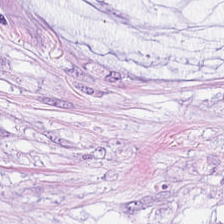Q: What tissue type is shown here?
A: It is mucin.
